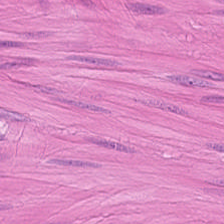Q: Identify the tissue.
A: Smooth muscle.
